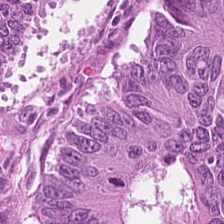H&E stain.
Predominantly colorectal adenocarcinoma.
